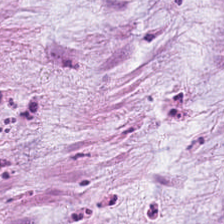H&E patch showing extracellular mucin.
